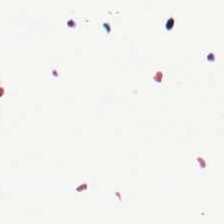Impression → background (no tissue).
